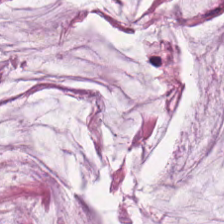224×224 px patch; formalin-fixed paraffin-embedded section; H&E.
Mucin.
